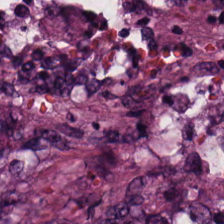Showing adenocarcinoma.
